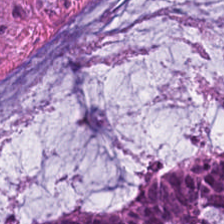FFPE tissue section; H&E-stained tissue section — Showing mucin.
